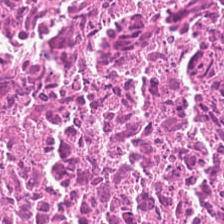Hematoxylin-and-eosin stained section.
The tissue here is cellular debris.
